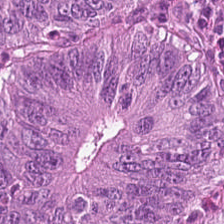Hematoxylin-and-eosin stained section; WSI patch — Tissue class: malignant epithelium.
